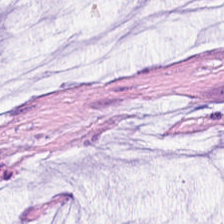H&E — This patch shows mucin.
